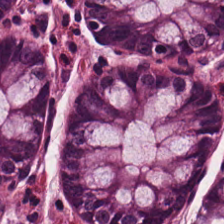H&E-stained tissue section · WSI patch · 224×224 pixel tile. Impression — normal colonic mucosa.
